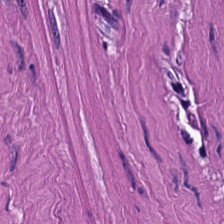This patch shows smooth muscle.
